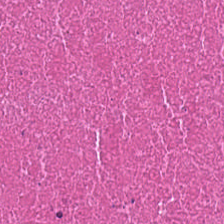H&E stain · 224×224 pixel tile · formalin-fixed paraffin-embedded section — This field is necrotic debris.
